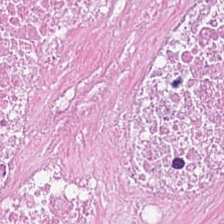FFPE. Hematoxylin and eosin. This patch shows cellular debris.
